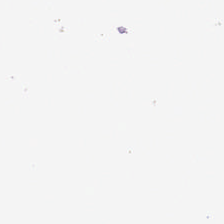Hematoxylin and eosin · FFPE tissue section — Field content — background.
